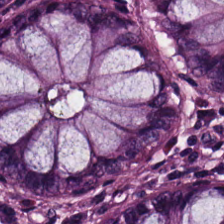Formalin-fixed paraffin-embedded section; hematoxylin and eosin. Q: What is shown in this field?
A: Benign colonic mucosa.
